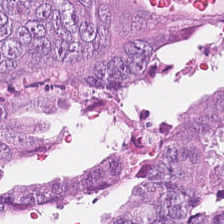Stain: H&E-stained tissue section.
Tissue type: tumor epithelium.
